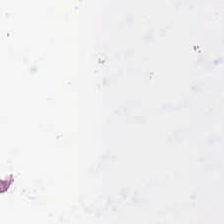Hematoxylin-and-eosin stained section.
The field content is no tissue.
